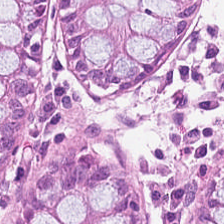H&E stain. WSI patch.
Tissue — normal colonic mucosa.
